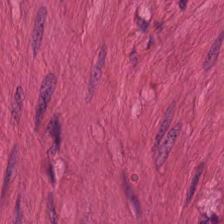H&E; 0.5 microns per pixel — Predominantly smooth-muscle tissue.
